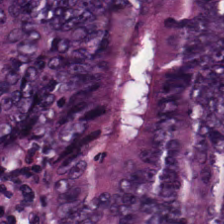The predominant tissue is colorectal adenocarcinoma epithelium.
